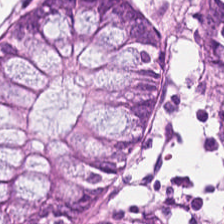Hematoxylin-and-eosin stained section — Showing non-neoplastic colon mucosa.
